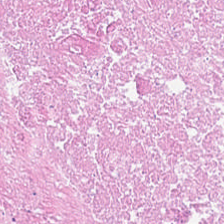Hematoxylin-and-eosin section: necrotic debris.
